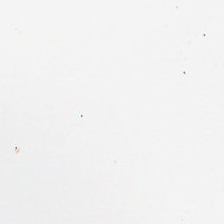224×224 px patch; H&E-stained tissue section. Empty field — background (no tissue).
